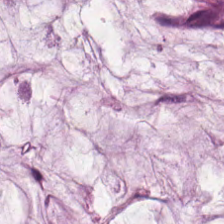FFPE; H&E. Tissue class = mucin.
